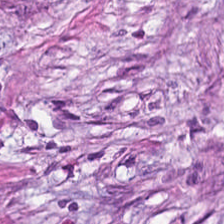H&E stain. 224×224 px patch. 0.5 µm per pixel. Cancer-associated stroma.
